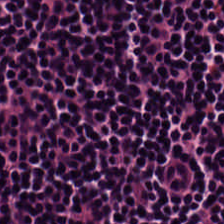H&E stain. The tissue here is lymphocytic infiltrate.
